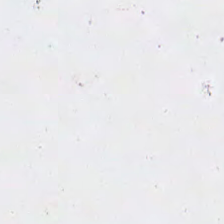Hematoxylin-and-eosin stained section. This field is background (no tissue).
